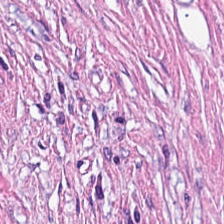H&E stain. Tissue type = tumor-associated stroma.
